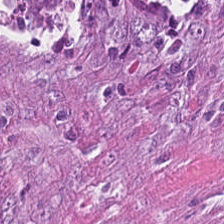H&E. Showing colorectal adenocarcinoma epithelium.
